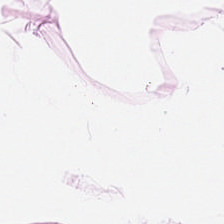Hematoxylin-and-eosin stained section.
Classification = adipose.
